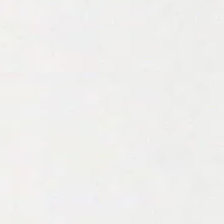Q: Classify this patch.
A: This is background (no tissue).
